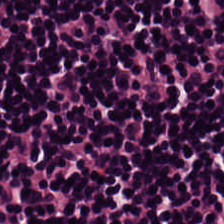H&E — Q: Classify this patch.
A: Lymphoid infiltrate.
